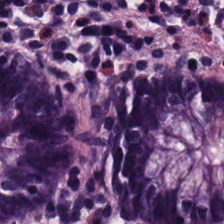Hematoxylin-and-eosin stained section. FFPE. Classification = normal colonic mucosa.
